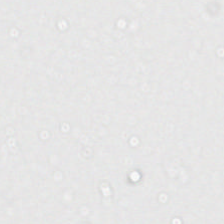H&E.
Classification = no tissue.
